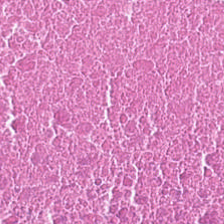H&E.
Q: What is shown here?
A: It is necrotic debris.
